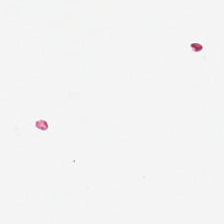224×224 px patch. Hematoxylin and eosin.
Finding — background.
